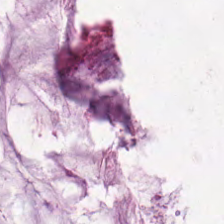Formalin-fixed paraffin-embedded section. Hematoxylin-and-eosin stained section. 20× equivalent magnification — The tissue here is extracellular mucin.
